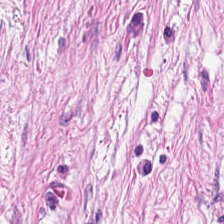Stain: H&E stain.
Tile size: 224×224 px patch.
Predominant tissue: cancer-associated stroma.
